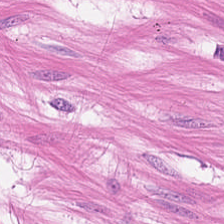H&E — Q: What type of tissue is this?
A: The field shows smooth-muscle tissue.
